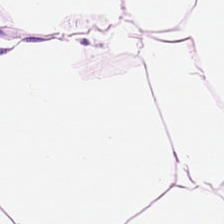Classification = adipose tissue.
